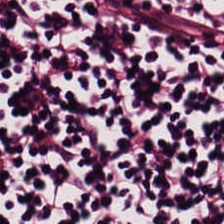Stain: H&E-stained tissue section.
Tile size: 224×224 px patch.
Tissue type: lymphocytes.
